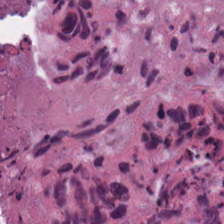Whole-slide-image patch · H&E-stained tissue section · FFPE — {"tissue_type": "necrotic debris"}
